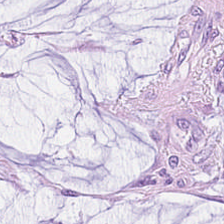H&E.
The predominant tissue is mucus.
